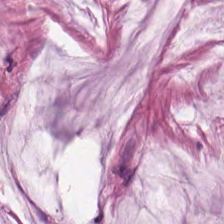H&E. This field is mucus.
